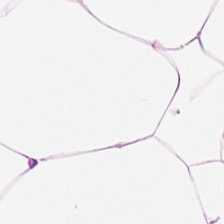Hematoxylin and eosin. Whole-slide-image patch.
Adipose.
